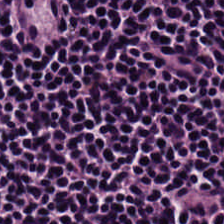Formalin-fixed paraffin-embedded section; WSI patch; H&E-stained tissue section.
Predominantly lymphoid infiltrate.
